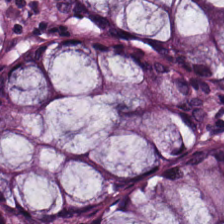H&E; 224×224 pixel tile. Classification: benign colonic mucosa.
